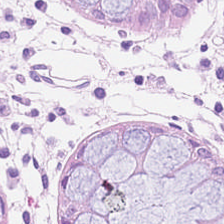FFPE. H&E-stained tissue section. Q: Classify this patch.
A: The field shows normal colonic mucosa.
